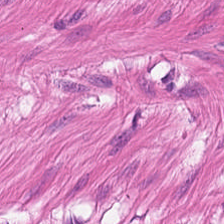Stain: hematoxylin and eosin.
Acquisition: brightfield microscopy.
Tissue: smooth-muscle tissue.
